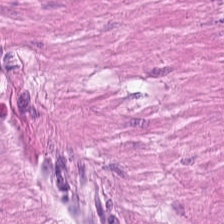Hematoxylin-and-eosin stained section.
Q: Classify this patch.
A: The field shows smooth muscle.
